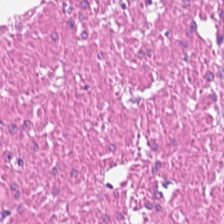H&E stain · FFPE tissue section — Q: What tissue type is shown here?
A: Smooth muscle.
